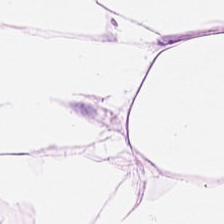This patch shows fat tissue.
